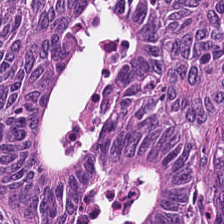H&E. This field is colorectal adenocarcinoma.
